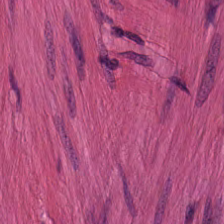H&E-stained tissue section. 224×224 px patch — The predominant tissue is muscularis.
